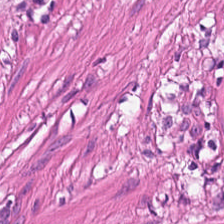Tissue type: smooth muscle.
